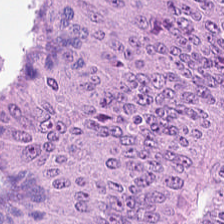H&E stain · FFPE tissue section · 224×224 pixel tile — This field is colorectal adenocarcinoma.
